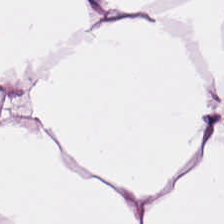Impression → adipocytes.
